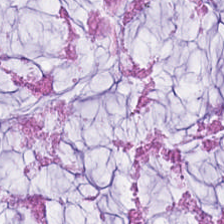Stain: hematoxylin and eosin.
Tissue type: mucus.
